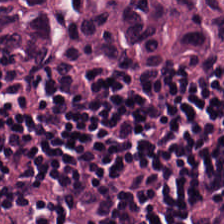Tissue class — lymphocyte aggregate.
